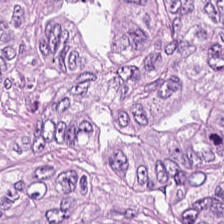{"tissue_type": "adenocarcinoma"}
